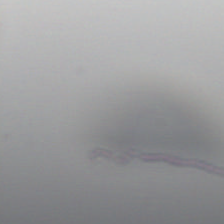H&E — Q: Classify this patch.
A: The field shows background (no tissue).
